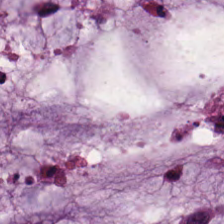H&E-stained tissue section. 0.5 microns per pixel. 224×224 px patch. Q: What does this patch show?
A: This is mucus.
